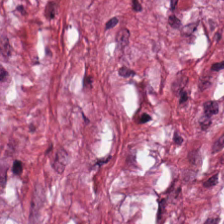Predominant tissue = desmoplastic stroma.
